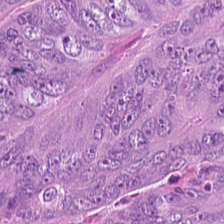20× equivalent magnification · hematoxylin and eosin. Predominant tissue: colorectal adenocarcinoma epithelium.
